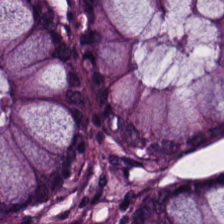H&E. Tissue class — normal colonic mucosa.
